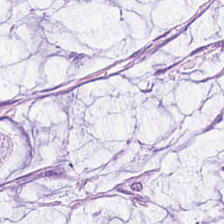FFPE; H&E. Tissue = mucus.
